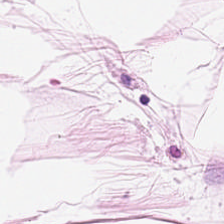Hematoxylin-and-eosin stained section — Histology → fat tissue.
